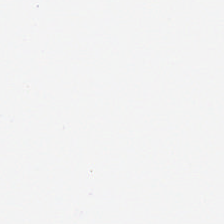H&E-stained tissue section.
Content = no tissue.
